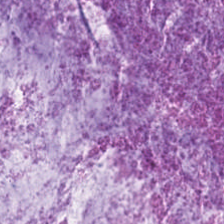Stain: H&E stain.
Tissue type: mucus.
